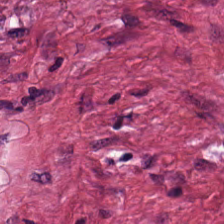H&E-stained tissue section. Q: What tissue type is shown here?
A: Tumor stroma.
